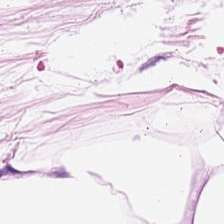H&E-stained tissue section; brightfield — Tissue class = adipose tissue.
